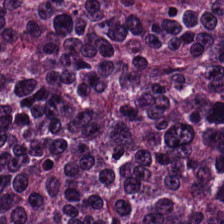H&E — Histology → colorectal adenocarcinoma.
